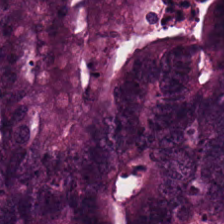20× equivalent magnification; hematoxylin and eosin; brightfield.
This field is malignant epithelium.
